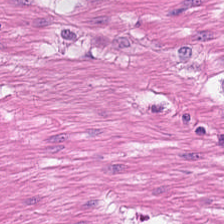Hematoxylin and eosin. FFPE. 0.5 µm/px.
Showing smooth-muscle tissue.
